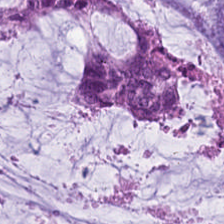Hematoxylin and eosin.
{"tissue_type": "extracellular mucin"}
